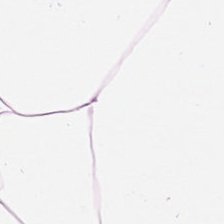Hematoxylin and eosin.
Tissue class: adipocytes.
